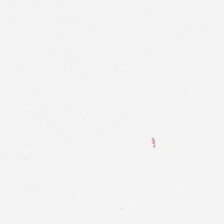FFPE tissue section · hematoxylin and eosin. This patch shows no tissue.
